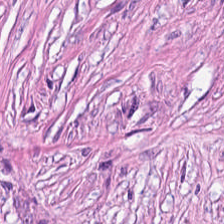Hematoxylin-and-eosin stained section. Finding → desmoplastic stroma.
